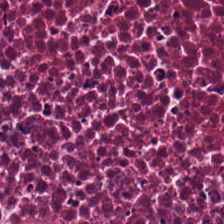224×224 px patch · hematoxylin and eosin — Tissue class = necrotic debris.
